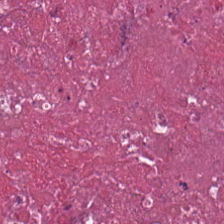H&E-stained tissue section — Q: What is shown in this field?
A: Necrotic debris.
